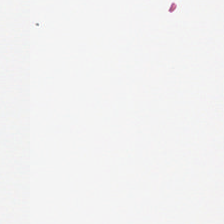H&E. Formalin-fixed paraffin-embedded section — Content: background.
